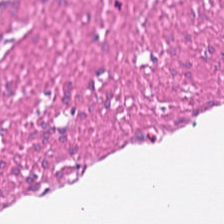Hematoxylin-and-eosin stained section.
The predominant tissue is muscularis.
